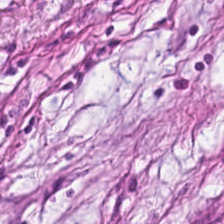H&E patch showing desmoplastic stroma.
